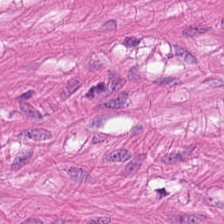H&E stain. 0.5 µm/px. This patch shows muscularis.
